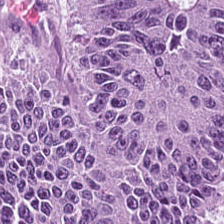H&E. The predominant tissue is colorectal adenocarcinoma.
